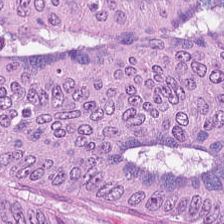Hematoxylin and eosin.
Malignant epithelium.
